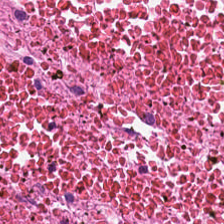Brightfield microscopy. Formalin-fixed paraffin-embedded section. Hematoxylin-and-eosin stained section. This field is necrotic debris.
